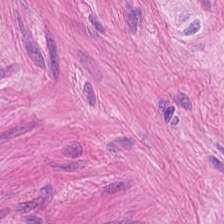Histology — muscularis.
